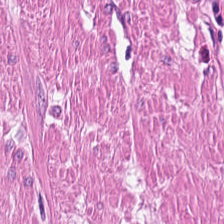This field is smooth muscle.
